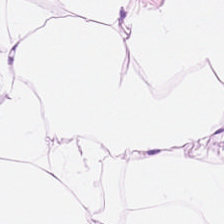Stain: hematoxylin and eosin.
Tissue class: fat tissue.
